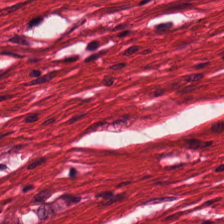H&E stain — Q: Identify the tissue.
A: The field shows smooth-muscle tissue.
